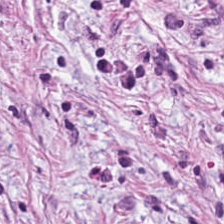Hematoxylin and eosin · 0.5 µm/px · 224×224 px patch.
Tissue: desmoplastic stroma.
